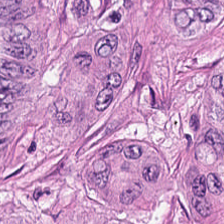Formalin-fixed paraffin-embedded section; hematoxylin-and-eosin stained section — Histology — adenocarcinoma.
